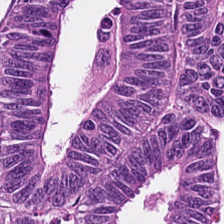Hematoxylin and eosin. The predominant tissue is malignant epithelium.
